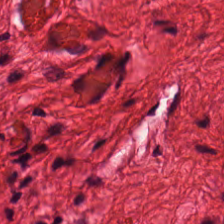Impression — smooth-muscle tissue.
